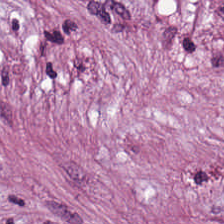Hematoxylin and eosin. This patch shows cancer-associated stroma.
